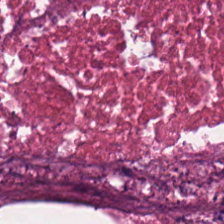FFPE · H&E stain — This patch shows cellular debris.
